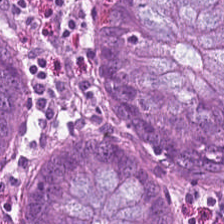The tissue here is normal colon mucosa.
